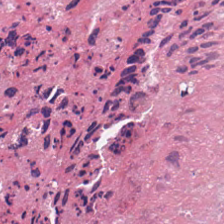Histology — necrotic debris.
